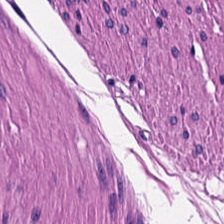20× equivalent magnification · hematoxylin and eosin — Predominant tissue — smooth muscle.
